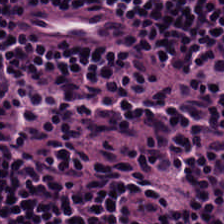Brightfield · hematoxylin and eosin. Q: What does this patch show?
A: It is lymphocytes.
